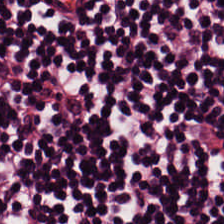Hematoxylin-and-eosin stained section · brightfield · 20× equivalent magnification. The tissue here is lymphocytic infiltrate.
